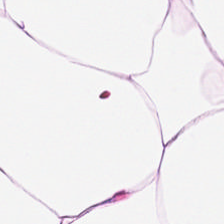Whole-slide-image patch. H&E-stained tissue section. Formalin-fixed paraffin-embedded section — Impression — adipose.
